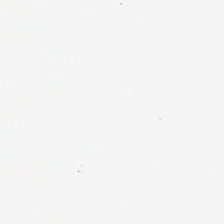H&E stain.
No tissue.
